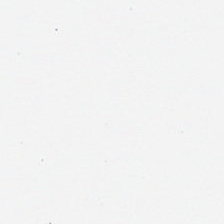Finding → background.
